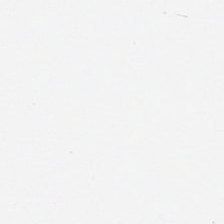H&E stain. {"tissue_type": "fat tissue"}
